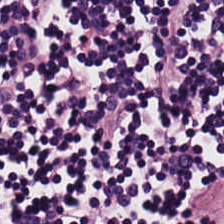20× equivalent magnification; H&E. The tissue class is lymphocytic infiltrate.
